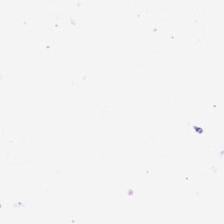H&E — Empty field — no tissue.
